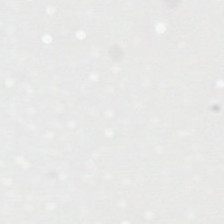H&E-stained tissue section — Histology → no tissue.
